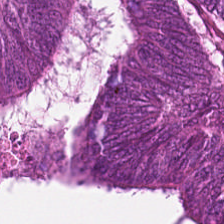H&E-stained tissue section. The tissue type is adenocarcinoma.
